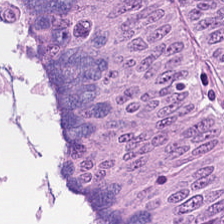Brightfield microscopy · formalin-fixed paraffin-embedded section · H&E.
Tissue class: malignant epithelium.
